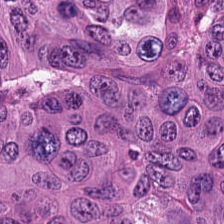FFPE · brightfield microscopy · hematoxylin and eosin.
Tissue type — colorectal adenocarcinoma epithelium.
